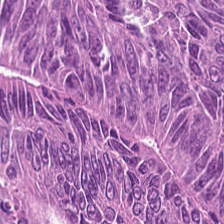H&E stain.
{"tissue_type": "colorectal adenocarcinoma"}
